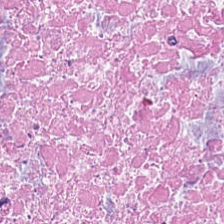H&E stain — Q: Classify this patch.
A: It is debris.
